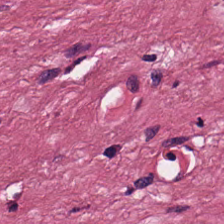H&E stain. Tissue — desmoplastic stroma.
